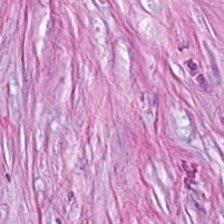Q: What is shown here?
A: This is cancer-associated stroma.
